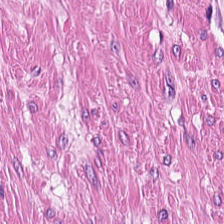224×224 pixel tile. H&E stain — Tissue: muscularis.
